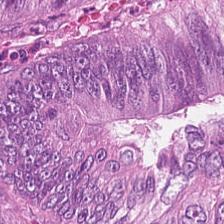This field is colorectal adenocarcinoma epithelium.
